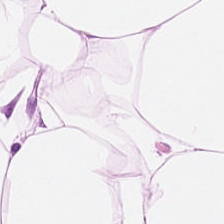H&E stain — Adipocytes.
